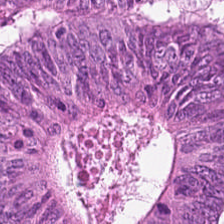H&E — This field is colorectal adenocarcinoma.
